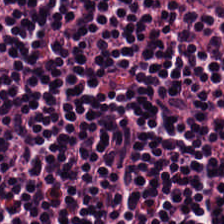Formalin-fixed paraffin-embedded section · hematoxylin and eosin. This patch shows lymphocytic infiltrate.
